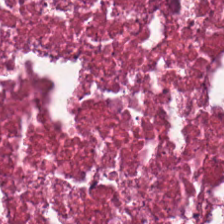Hematoxylin-and-eosin stained section.
The tissue class is cellular debris.
